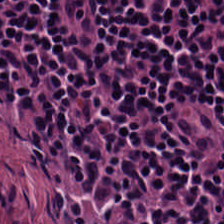H&E-stained tissue section.
{"tissue_type": "lymphoid infiltrate"}
